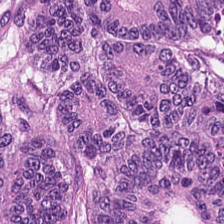H&E stain.
This field is colorectal adenocarcinoma epithelium.
